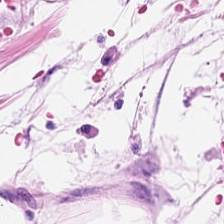H&E stain · formalin-fixed paraffin-embedded section · 0.5 µm/px.
{"tissue_type": "fat tissue"}
